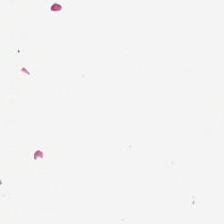Hematoxylin and eosin · formalin-fixed paraffin-embedded section.
Empty field — no tissue.
